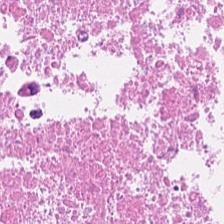Stain: H&E-stained tissue section.
Tissue type: debris.
